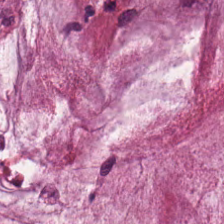H&E-stained tissue section.
Tissue type — mucus.
